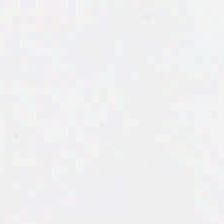Stain: H&E-stained tissue section.
Preparation: FFPE.
Classification: empty background.
